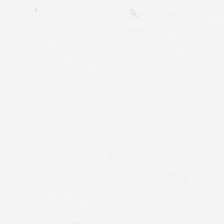224×224 px patch; 0.5 µm/px; H&E — Finding — background.
